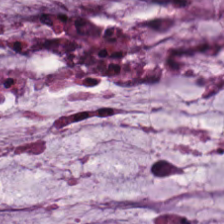Q: What is shown in this field?
A: It is extracellular mucin.
